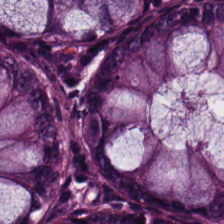The tissue is normal colonic mucosa.
